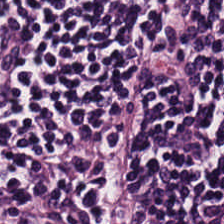Tissue class — lymphoid infiltrate.
